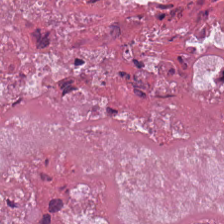Hematoxylin and eosin — The tissue here is cellular debris.
